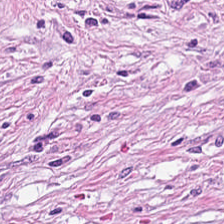Cancer-associated stroma.
